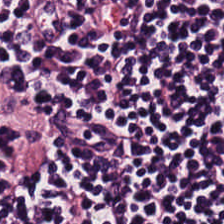Brightfield microscopy; H&E stain.
Impression — lymphoid infiltrate.
